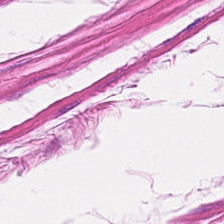Hematoxylin and eosin — Predominant tissue: smooth muscle.
